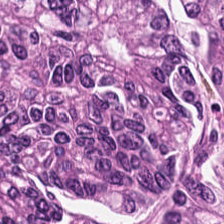H&E stain · 0.5 microns per pixel · WSI patch.
This field is colorectal adenocarcinoma.
